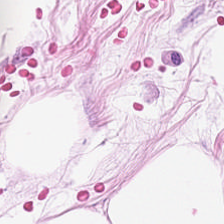H&E stain; WSI patch.
The tissue here is adipose.
